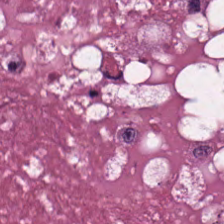FFPE · 224×224 px patch · H&E.
Q: What is shown in this field?
A: Cellular debris.
